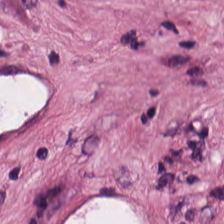Q: What is shown in this field?
A: The field shows tumor-associated stroma.
